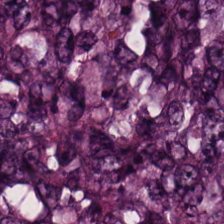Stain: H&E stain.
Predominant tissue: tumor epithelium.
